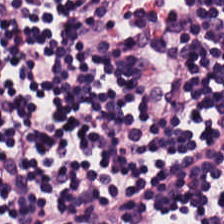Tissue type = lymphocytes.
